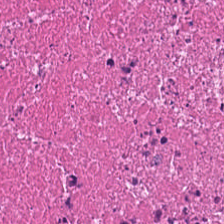The tissue is debris.
